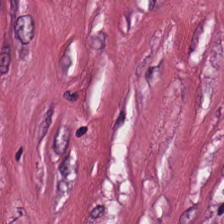This field is tumor stroma.
